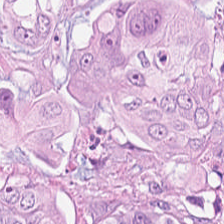H&E stain. Finding → malignant epithelium.
